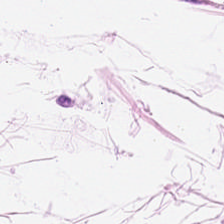Q: What tissue type is shown here?
A: It is adipocytes.
